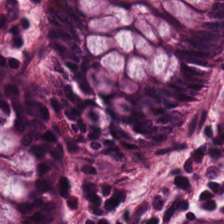224×224 px patch · H&E stain. This field is normal colon mucosa.
